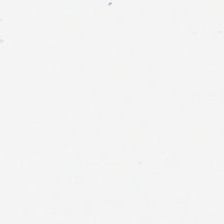H&E — The classification is empty background.
